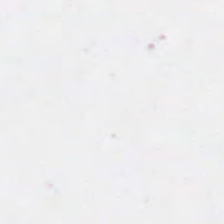H&E.
Field content — empty background.
